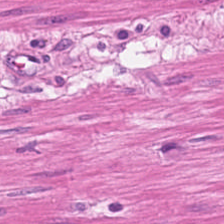Predominant tissue = smooth-muscle tissue.
